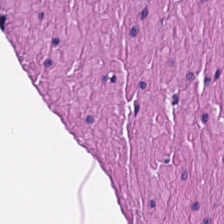Q: What tissue type is shown here?
A: The field shows smooth muscle.
